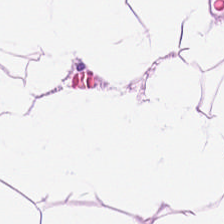Q: What tissue is shown?
A: The field shows adipose tissue.
